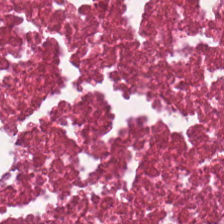0.5 µm per pixel. FFPE. Hematoxylin-and-eosin stained section.
Showing debris.
